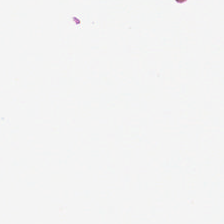No tissue.
